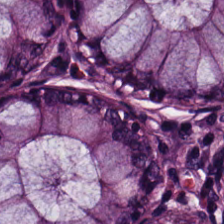0.5 µm/px; hematoxylin-and-eosin stained section; 224×224 pixel tile — This patch shows non-neoplastic colon mucosa.
